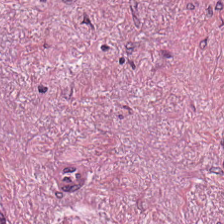Tissue type: tumor-associated stroma.
